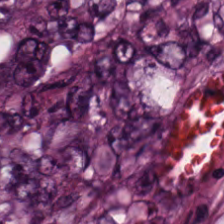Hematoxylin-and-eosin stained section. Formalin-fixed paraffin-embedded section. Q: What does this patch show?
A: The field shows colorectal adenocarcinoma.
